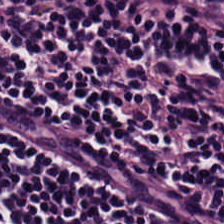H&E.
Q: Classify this patch.
A: The field shows lymphocytes.
